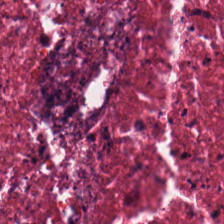FFPE. H&E-stained tissue section. Tissue type = necrotic debris.
